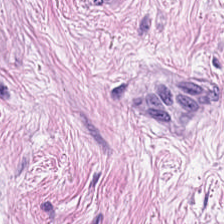Stain: hematoxylin-and-eosin stained section.
Resolution: 0.5 microns per pixel.
Acquisition: brightfield.
Classification: cancer-associated stroma.
